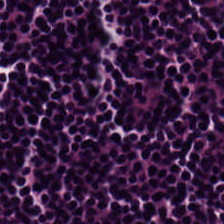H&E · FFPE tissue section · 0.5 µm per pixel. Q: What tissue is shown?
A: The field shows lymphoid infiltrate.
